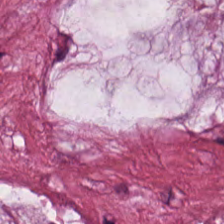224×224 px tile; FFPE tissue section; H&E stain — Classification — mucus.
